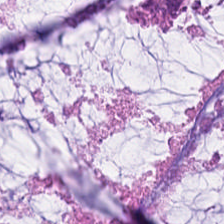H&E — The tissue type is mucus.
